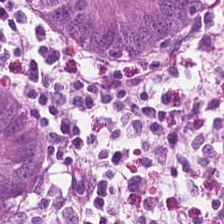20× equivalent magnification · H&E-stained tissue section. Tissue class — non-neoplastic colon mucosa.
